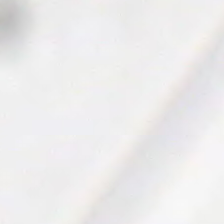Hematoxylin-and-eosin stained section — No tissue.
